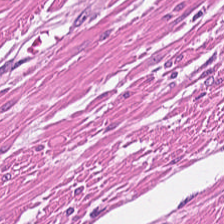FFPE · hematoxylin-and-eosin stained section.
This patch shows muscularis.
